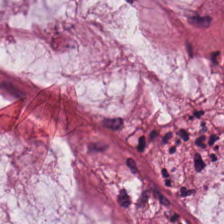H&E stain. Q: What tissue type is shown here?
A: This is mucus.
